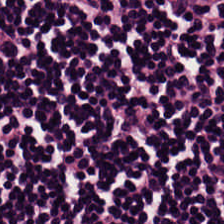H&E stain. WSI patch.
Tissue type = lymphoid infiltrate.
